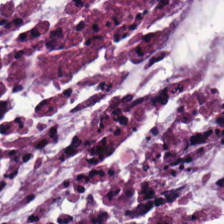Stain: hematoxylin and eosin.
Tissue type: extracellular mucin.
